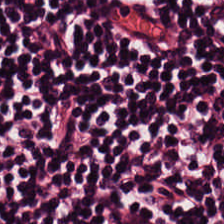Stain: hematoxylin and eosin.
Acquisition: brightfield microscopy.
Tissue: lymphoid infiltrate.
